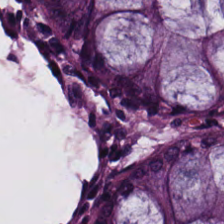FFPE · brightfield microscopy · H&E.
Tissue — normal colon mucosa.
